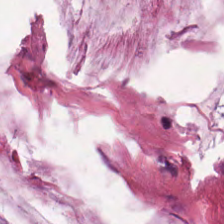H&E.
The tissue type is mucin.
